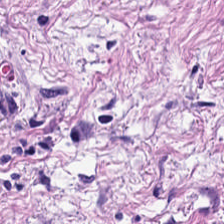Stain: H&E.
Acquisition: brightfield microscopy.
Preparation: formalin-fixed paraffin-embedded section.
Tissue class: desmoplastic stroma.
